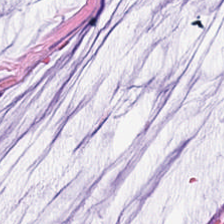Hematoxylin and eosin. FFPE. Q: Classify this patch.
A: The field shows mucus.
